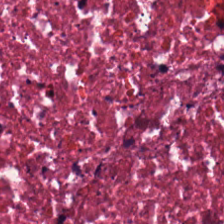Hematoxylin and eosin · brightfield microscopy · 224×224 px patch.
The predominant tissue is debris.
